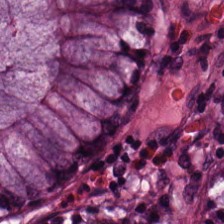Q: Classify this patch.
A: This is benign colonic mucosa.
